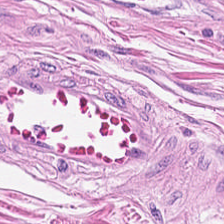Hematoxylin-and-eosin stained section · 20× equivalent magnification — Tissue type — muscularis.
